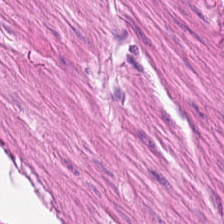Hematoxylin and eosin — Histology — smooth muscle.
